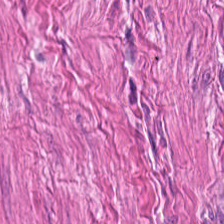FFPE tissue section · H&E-stained tissue section · 224×224 pixel tile. The tissue here is muscularis.
